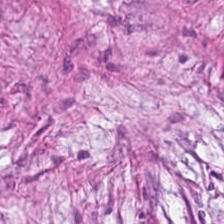Formalin-fixed paraffin-embedded section · H&E · brightfield microscopy — Q: What is shown in this field?
A: The field shows tumor stroma.
